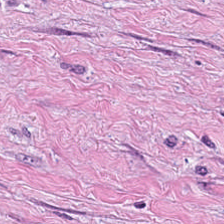Stain: hematoxylin and eosin.
Resolution: 0.5 microns per pixel.
Tile size: 224×224 px patch.
Tissue: tumor-associated stroma.
